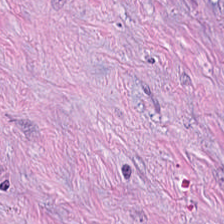0.5 microns per pixel; H&E-stained tissue section; 224×224 px tile. The tissue is tumor stroma.
